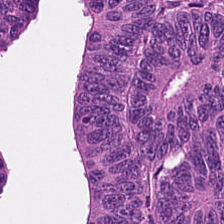H&E-stained tissue section.
Tissue type = adenocarcinoma.
